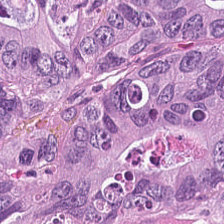H&E stain. WSI patch.
Histology → malignant epithelium.
